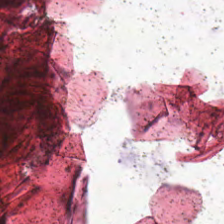Hematoxylin and eosin. This field is background (no tissue).
